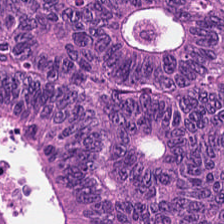0.5 µm per pixel · hematoxylin and eosin. Q: What is the predominant tissue type?
A: The field shows adenocarcinoma.
